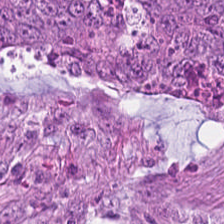Brightfield microscopy; 224×224 px patch; H&E stain.
{"tissue_type": "adenocarcinoma"}
